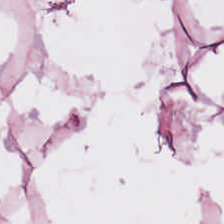Hematoxylin-and-eosin stained section — The tissue class is adipose tissue.
